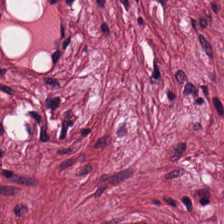Hematoxylin-and-eosin stained section. {"tissue_type": "tumor stroma"}
